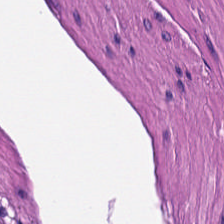Stain: H&E-stained tissue section.
Resolution: 20× equivalent magnification.
Classification: smooth muscle.
